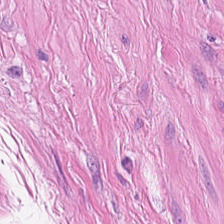Brightfield · H&E.
The tissue class is muscularis.
